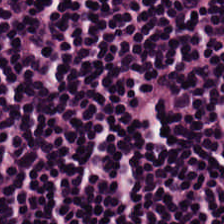Hematoxylin and eosin.
The tissue here is lymphocyte aggregate.
